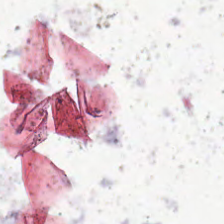Formalin-fixed paraffin-embedded section; hematoxylin and eosin — The content is background (no tissue).
